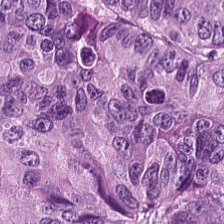Colorectal adenocarcinoma epithelium.
